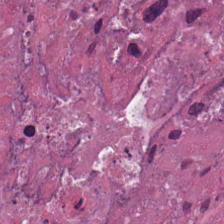H&E-stained tissue section.
Q: What is the predominant tissue type?
A: Debris.
